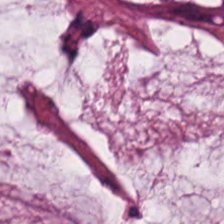H&E — Q: What is the predominant tissue type?
A: Extracellular mucin.
